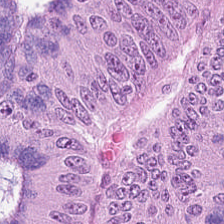Tissue class = tumor epithelium.
